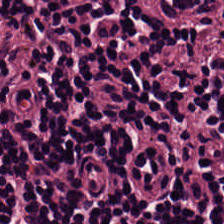Hematoxylin and eosin.
{"tissue_type": "lymphocyte aggregate"}
